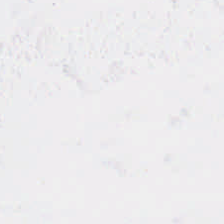Hematoxylin-and-eosin stained section. Q: What is shown here?
A: The field shows no tissue.
